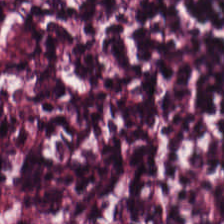H&E stain. 224×224 px tile.
Lymphocyte aggregate.
